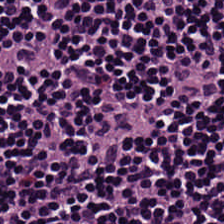H&E stain · 0.5 µm per pixel. This patch shows lymphocytes.
